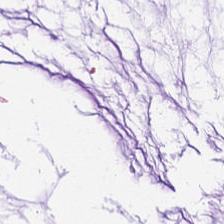The tissue is mucus.
